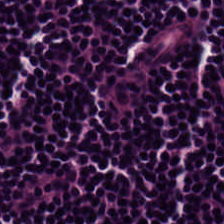0.5 microns per pixel. H&E stain.
Classification: lymphocytes.
